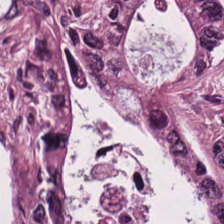Hematoxylin-and-eosin stained section; formalin-fixed paraffin-embedded section — The tissue here is colorectal adenocarcinoma.
